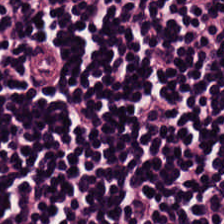Hematoxylin and eosin. FFPE tissue section — Tissue class — lymphoid infiltrate.
